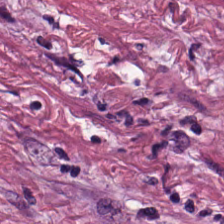Tissue type: tumor stroma.
